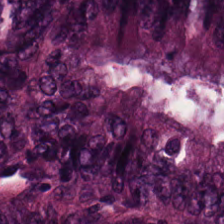Impression → adenocarcinoma.
